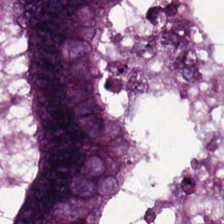H&E stain · formalin-fixed paraffin-embedded section — Predominant tissue — malignant epithelium.
